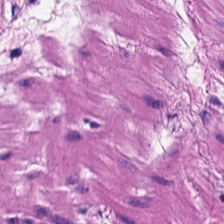Stain: H&E.
Preparation: FFPE.
Tissue: muscularis.
